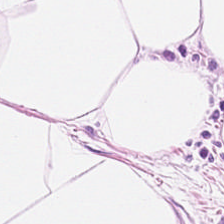0.5 microns per pixel. H&E.
Fat tissue.
